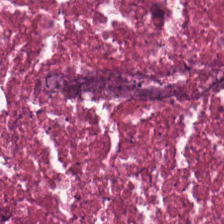H&E. Whole-slide-image patch. This patch shows cellular debris.
